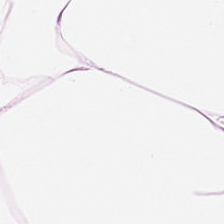H&E patch showing adipocytes.
